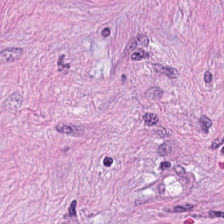H&E. Brightfield.
Histology — tumor-associated stroma.
